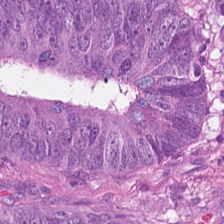H&E — Predominant tissue: tumor epithelium.
